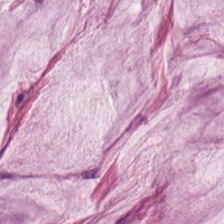Hematoxylin-and-eosin section: extracellular mucin.
